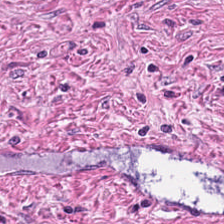20× equivalent magnification; FFPE tissue section; H&E — The tissue here is desmoplastic stroma.
